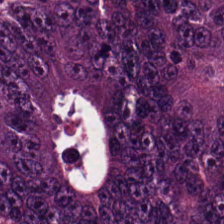H&E-stained tissue section · FFPE tissue section · 0.5 µm per pixel — Classification = colorectal adenocarcinoma epithelium.
